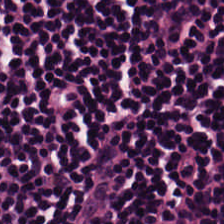H&E stain — The predominant tissue is lymphoid infiltrate.
